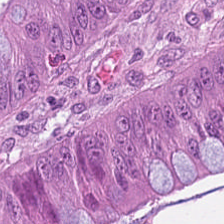H&E-stained tissue section — {"tissue_type": "malignant epithelium"}
